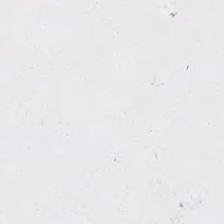FFPE tissue section; H&E stain. Background — no tissue in this field.
